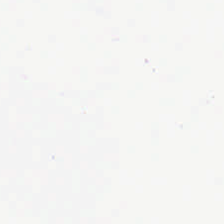Stain: H&E.
Classification: background.
